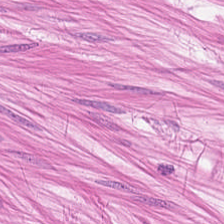Tissue class — muscularis.
